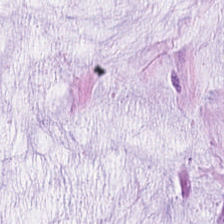H&E-stained tissue section showing mucin.
